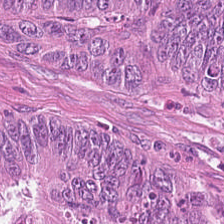20× equivalent magnification · H&E-stained tissue section — Finding → adenocarcinoma.
